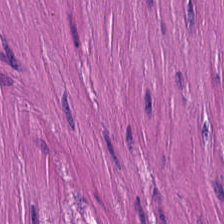Stain: H&E stain.
Predominant tissue: muscularis.
